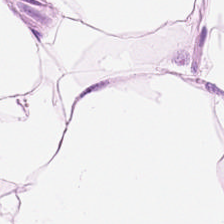H&E stain — The tissue is fat tissue.
